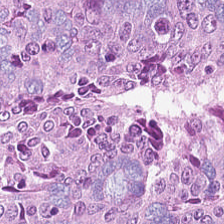Hematoxylin and eosin.
The tissue here is adenocarcinoma.
